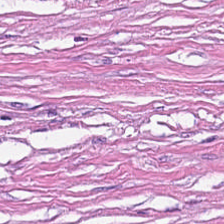Hematoxylin and eosin. FFPE.
Tissue = tumor-associated stroma.
